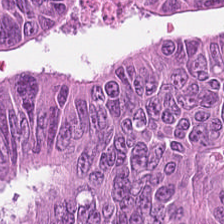Hematoxylin-and-eosin stained section.
This field is malignant epithelium.
